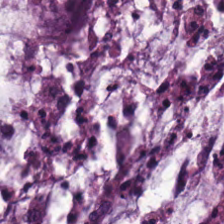Hematoxylin and eosin; FFPE tissue section. Finding — mucus.
